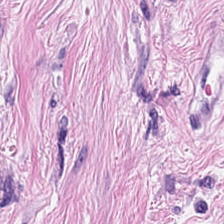H&E patch showing desmoplastic stroma.
